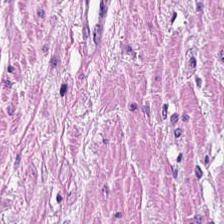H&E. Q: What tissue is shown?
A: This is smooth-muscle tissue.
